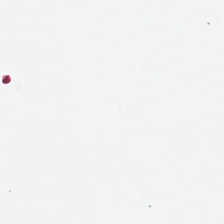H&E.
Background — no tissue in this field.
